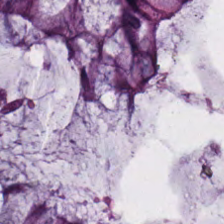0.5 µm/px. H&E stain.
This patch shows normal colon mucosa.
